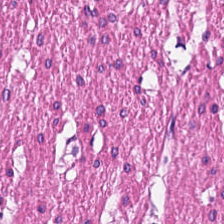0.5 µm/px · H&E.
Tissue type = smooth-muscle tissue.
